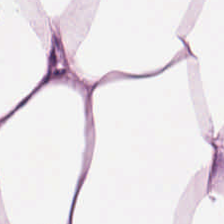H&E.
Q: What tissue type is shown here?
A: Adipose tissue.
